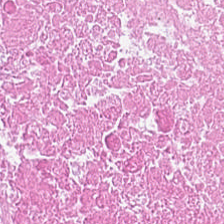Brightfield microscopy; FFPE tissue section; H&E-stained tissue section — The tissue here is necrotic debris.
